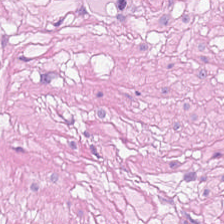FFPE tissue section. 0.5 µm/px. H&E stain — Predominantly muscularis.
